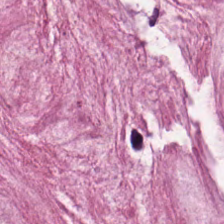Hematoxylin and eosin.
This field is mucin.
